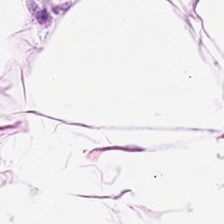Classification — adipose tissue.
